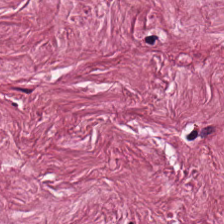H&E.
Q: What tissue is shown?
A: The field shows desmoplastic stroma.
